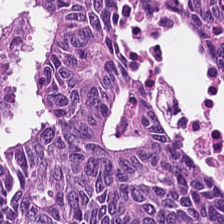H&E patch showing colorectal adenocarcinoma.
